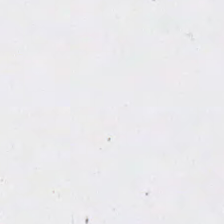Hematoxylin-and-eosin stained section.
Content: empty background.
